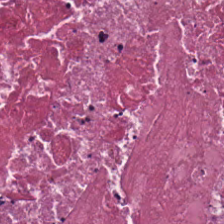Stain: H&E stain.
Predominant tissue: necrotic debris.
